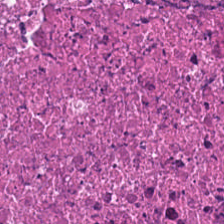Brightfield microscopy. Formalin-fixed paraffin-embedded section. H&E stain. Impression → debris.
